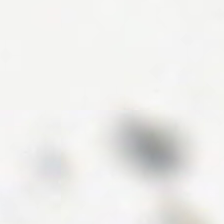224×224 px patch · whole-slide-image patch · hematoxylin and eosin — Empty field — background.
